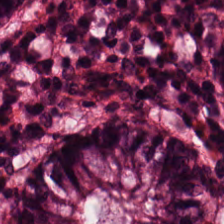H&E-stained tissue section showing normal colon mucosa.
